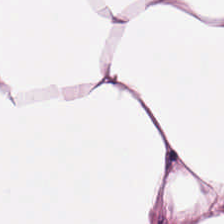224×224 pixel tile. H&E stain. Brightfield — Showing adipocytes.
